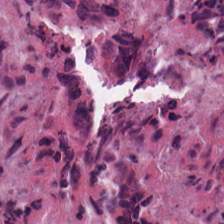Formalin-fixed paraffin-embedded section. Hematoxylin and eosin. 0.5 µm per pixel. Debris.
